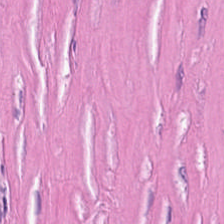H&E stain — Q: What tissue is shown?
A: It is tumor stroma.
